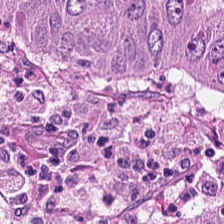Formalin-fixed paraffin-embedded section · 0.5 µm per pixel · H&E-stained tissue section.
{"tissue_type": "tumor epithelium"}
